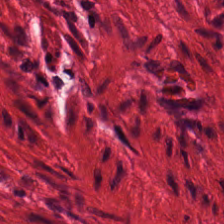Hematoxylin-and-eosin stained section. This patch shows muscularis.
